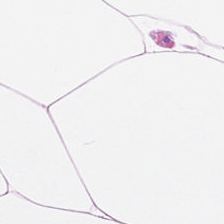0.5 µm per pixel; H&E. Histology → adipose.
